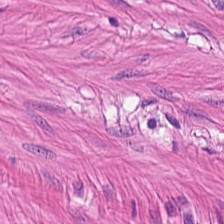Finding — smooth muscle.
